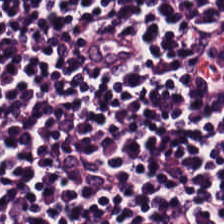Finding — lymphocytes.
